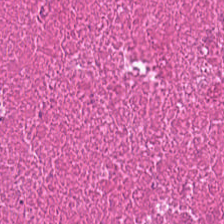Stain: H&E-stained tissue section.
Acquisition: whole-slide-image patch.
Resolution: 20× equivalent magnification.
Tissue type: cellular debris.
